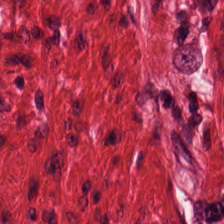H&E stain. WSI patch.
Predominant tissue = muscularis.
